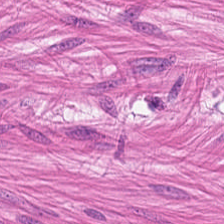H&E stain — Predominantly smooth muscle.
